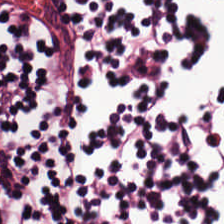H&E. The tissue here is lymphocyte aggregate.
